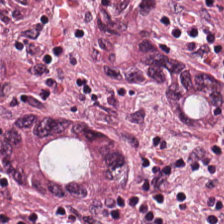Hematoxylin-and-eosin section: colorectal adenocarcinoma epithelium.
